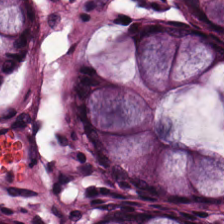The tissue is non-neoplastic colon mucosa.
